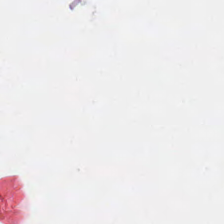Stain: H&E.
Content: background (no tissue).
